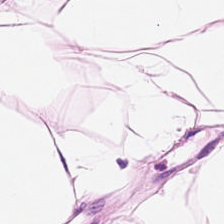Stain: H&E-stained tissue section.
Tissue: adipocytes.
